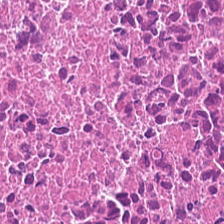Hematoxylin-and-eosin stained section.
Tissue type: debris.
